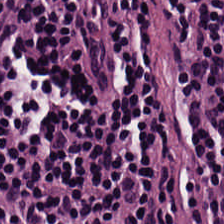Q: What tissue is shown?
A: Lymphoid infiltrate.
